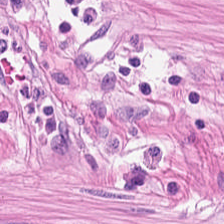224×224 px patch · H&E stain · 0.5 µm per pixel — This patch shows smooth-muscle tissue.
